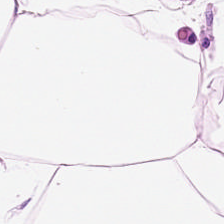H&E-stained tissue section — The predominant tissue is adipose.
